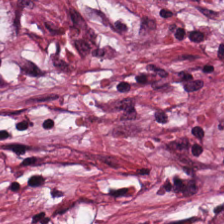Tissue: tumor-associated stroma.
